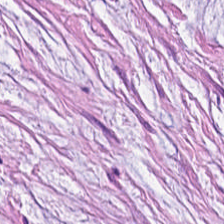Q: What type of tissue is this?
A: The field shows mucus.
